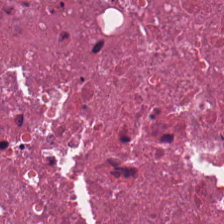H&E stain — Q: What type of tissue is this?
A: Cellular debris.
